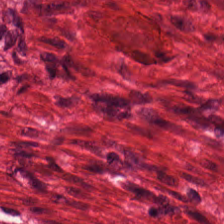Hematoxylin and eosin. FFPE tissue section — Q: Identify the tissue.
A: This is smooth-muscle tissue.
